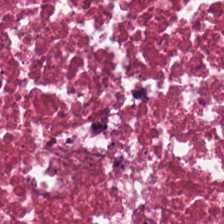Hematoxylin-and-eosin stained section; brightfield; formalin-fixed paraffin-embedded section. Q: What is shown here?
A: The field shows cellular debris.
